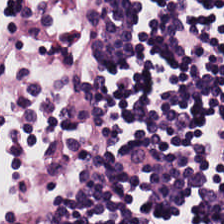Q: What tissue is shown?
A: Lymphocyte aggregate.
